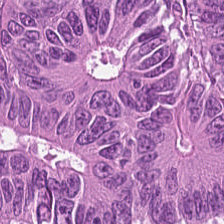Hematoxylin and eosin; WSI patch. Q: What tissue type is shown here?
A: It is colorectal adenocarcinoma.
